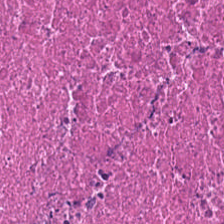H&E stain. 0.5 microns per pixel. 224×224 px patch. The tissue here is debris.
